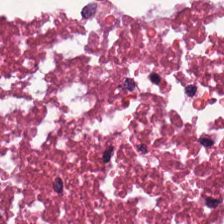Stain: H&E.
Classification: cellular debris.
